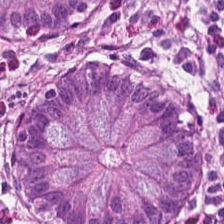0.5 µm/px · H&E stain.
Predominantly non-neoplastic colon mucosa.
